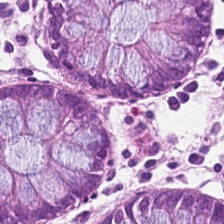Hematoxylin-and-eosin section: benign colonic mucosa.
